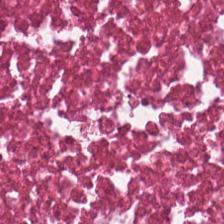Q: What tissue type is shown here?
A: This is necrotic debris.
